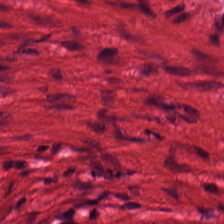Hematoxylin and eosin. Tissue: muscularis.
